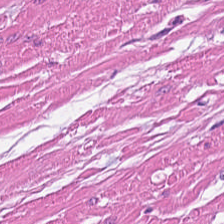Formalin-fixed paraffin-embedded section. H&E-stained tissue section. 0.5 microns per pixel. Q: What tissue type is shown here?
A: The field shows smooth-muscle tissue.
